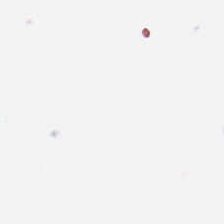Hematoxylin and eosin. This patch shows no tissue.
